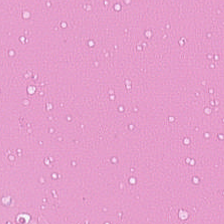Hematoxylin and eosin — Histology → cellular debris.
